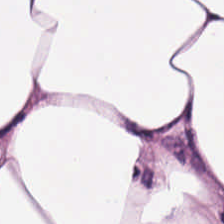H&E. Tissue class = adipocytes.
